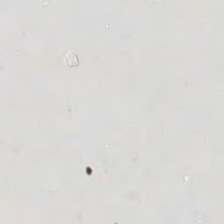Hematoxylin-and-eosin stained section.
Empty field — empty background.
